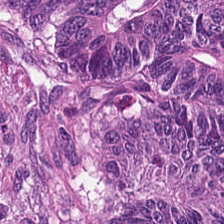224×224 px patch · H&E-stained tissue section. The tissue here is colorectal adenocarcinoma epithelium.
